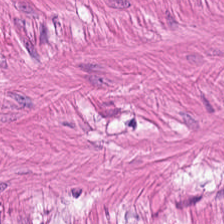Hematoxylin-and-eosin stained section. Tissue = muscularis.
